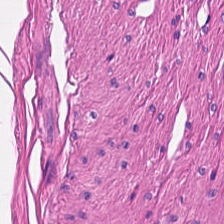H&E · 0.5 µm/px.
Predominantly smooth muscle.
